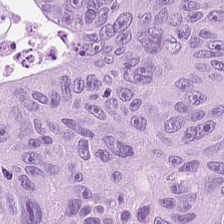Stain: H&E.
Tissue: colorectal adenocarcinoma.
